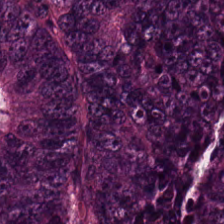The predominant tissue is adenocarcinoma.
